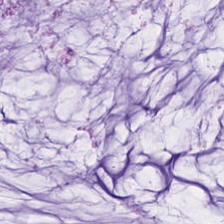Finding → extracellular mucin.
